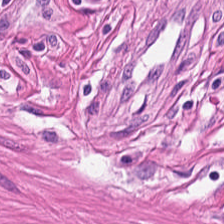H&E stain. Brightfield. 224×224 pixel tile. Predominantly muscularis.
